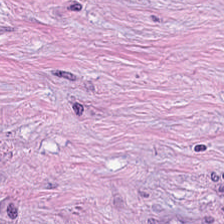Hematoxylin-and-eosin stained section — Q: Identify the tissue.
A: The field shows cancer-associated stroma.
